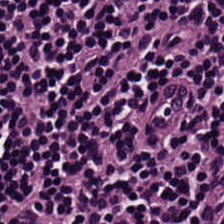Hematoxylin-and-eosin stained section. Tissue — lymphoid infiltrate.
